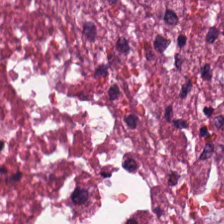Stain: H&E stain.
Tile size: 224×224 px tile.
Predominant tissue: cellular debris.
